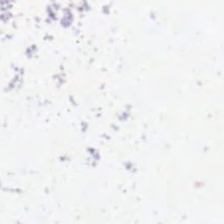H&E — Field content: no tissue.
